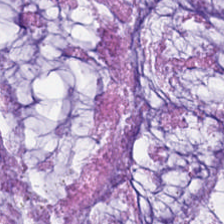H&E patch showing mucin.
